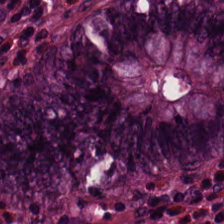H&E stain · FFPE tissue section. Q: What is shown here?
A: It is normal colon mucosa.
